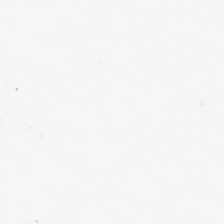Classification: no tissue.
